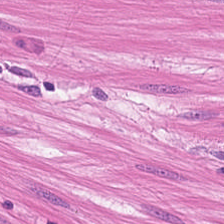Hematoxylin-and-eosin stained section. FFPE tissue section. 224×224 px tile — Predominant tissue = smooth-muscle tissue.
